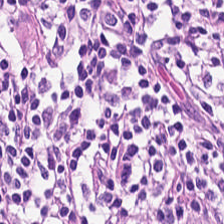0.5 µm per pixel. Hematoxylin-and-eosin stained section — This patch shows lymphocytic infiltrate.
